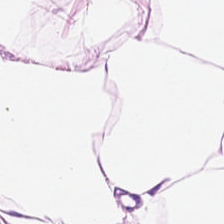Hematoxylin-and-eosin stained section — This patch shows fat tissue.
